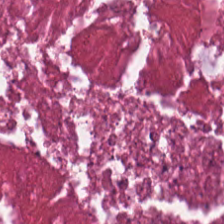Classification — cellular debris.
